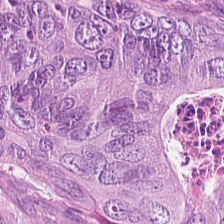0.5 µm/px. H&E — Predominant tissue = malignant epithelium.
